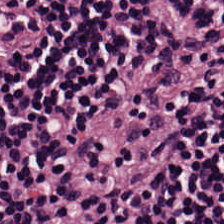Stain: H&E.
Acquisition: brightfield.
Tile size: 224×224 px patch.
Tissue type: lymphoid infiltrate.
